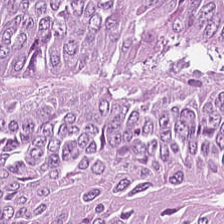H&E-stained tissue section — Malignant epithelium.
